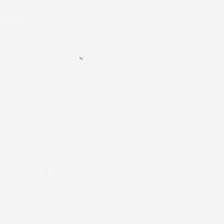H&E stain — Q: What does this patch show?
A: It is background (no tissue).
